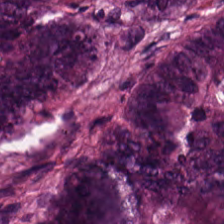Hematoxylin-and-eosin stained section.
The predominant tissue is colorectal adenocarcinoma epithelium.
